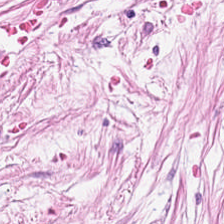Hematoxylin-and-eosin section: desmoplastic stroma.
